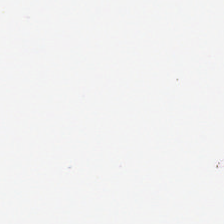0.5 µm/px; hematoxylin and eosin. Classification — empty background.
